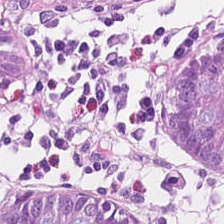0.5 µm/px; 224×224 px patch; hematoxylin-and-eosin stained section. Finding — normal colon mucosa.
